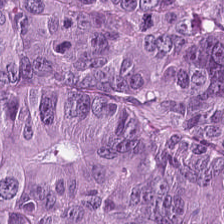Hematoxylin-and-eosin stained section; FFPE — Histology — malignant epithelium.
